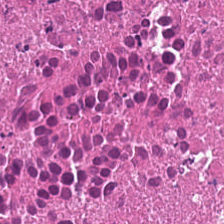Brightfield; H&E — Tissue = necrotic debris.
